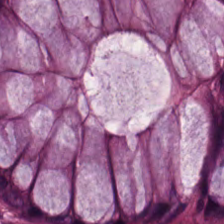H&E-stained tissue section. FFPE tissue section. Q: What does this patch show?
A: The field shows normal colonic mucosa.
